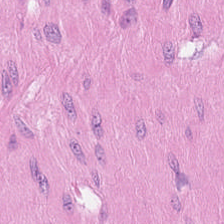Stain: hematoxylin-and-eosin stained section.
Tissue: muscularis.
